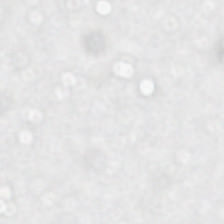Stain: hematoxylin-and-eosin stained section.
Content: background (no tissue).
